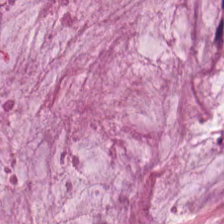0.5 µm per pixel. H&E stain — The predominant tissue is mucus.
